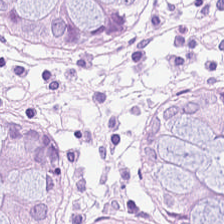Tissue — benign colonic mucosa.
